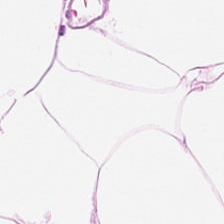Impression → adipose.
